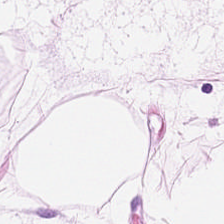Stain: H&E stain.
Tile size: 224×224 pixel tile.
Acquisition: WSI patch.
Predominant tissue: adipose tissue.
